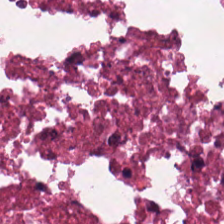224×224 px patch · H&E-stained tissue section · whole-slide-image patch — This patch shows necrotic debris.
